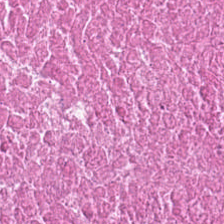Showing debris.
